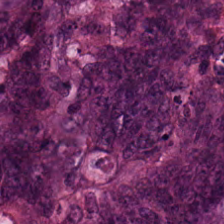Stain: H&E.
Tissue: tumor epithelium.
